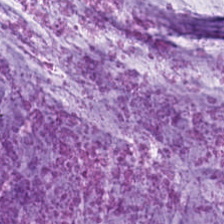H&E-stained section; the field shows extracellular mucin.
